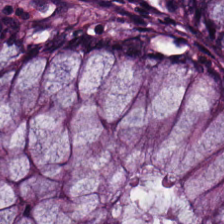Tissue type: non-neoplastic colon mucosa.
